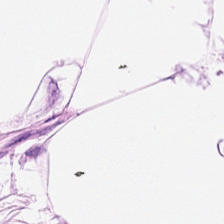Stain: H&E-stained tissue section.
Resolution: 0.5 microns per pixel.
Tile size: 224×224 px tile.
Tissue type: fat tissue.
